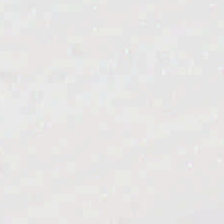FFPE. H&E-stained tissue section — Q: What does this patch show?
A: This is no tissue.
